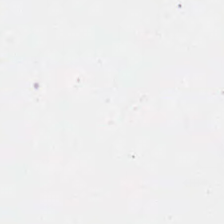H&E. The content is background (no tissue).
